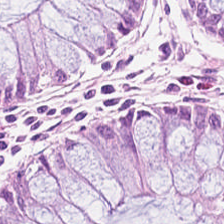224×224 pixel tile; H&E stain; FFPE tissue section.
Q: What type of tissue is this?
A: The field shows benign colonic mucosa.
